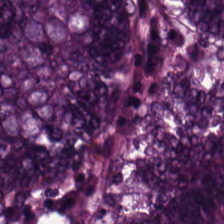H&E. Impression → colorectal adenocarcinoma.
